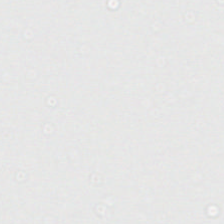Hematoxylin-and-eosin stained section — This field is background (no tissue).
